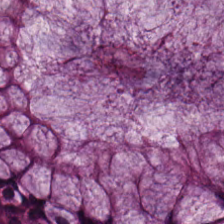H&E-stained tissue section. 224×224 px tile — {"tissue_type": "non-neoplastic colon mucosa"}
